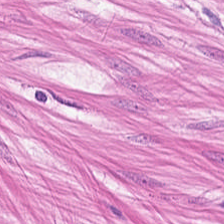0.5 µm per pixel · 224×224 pixel tile · H&E — Predominant tissue = smooth-muscle tissue.
